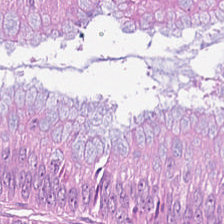0.5 µm/px. H&E.
This field is tumor epithelium.
